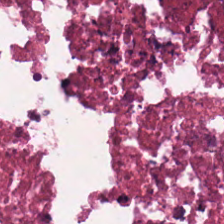H&E stain.
This field is cellular debris.
